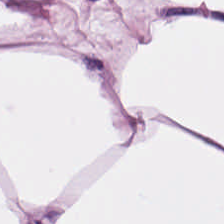H&E — Tissue: adipocytes.
